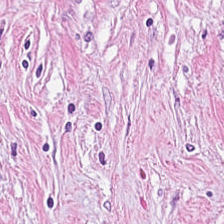H&E stain — Impression → tumor-associated stroma.
